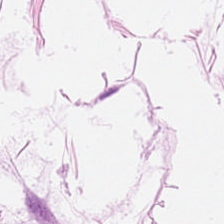H&E — Fat tissue.
